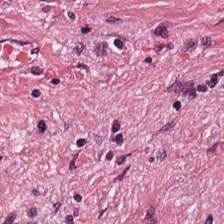This field is cancer-associated stroma.
